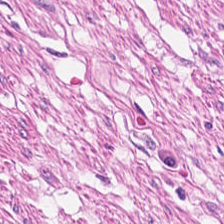H&E · FFPE tissue section. Tissue type — smooth-muscle tissue.
